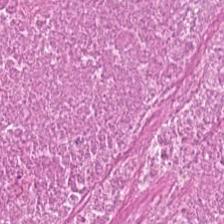Impression — debris.
